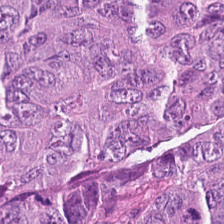Brightfield microscopy · H&E stain · 0.5 µm per pixel.
Q: What is shown here?
A: This is adenocarcinoma.
